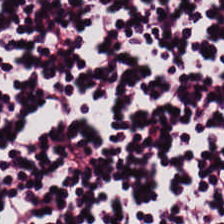Classification — lymphoid infiltrate.
